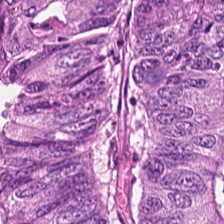Hematoxylin and eosin.
{"tissue_type": "adenocarcinoma"}
